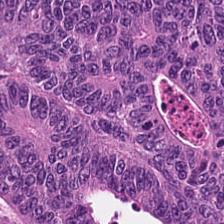Hematoxylin-and-eosin section: colorectal adenocarcinoma.
